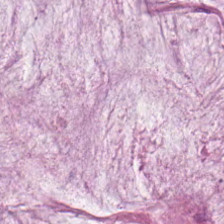Hematoxylin-and-eosin stained section. Q: Identify the tissue.
A: It is extracellular mucin.
